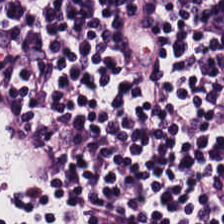Stain: hematoxylin and eosin.
Tile size: 224×224 px patch.
Preparation: FFPE.
Classification: lymphoid infiltrate.
